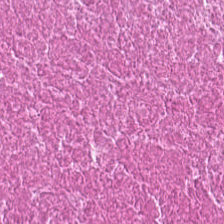The predominant tissue is cellular debris.
